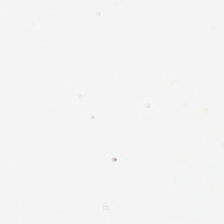The classification is background (no tissue).
